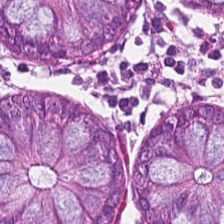224×224 px patch; hematoxylin and eosin; FFPE tissue section — The predominant tissue is non-neoplastic colon mucosa.
